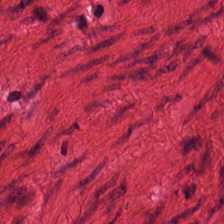Hematoxylin and eosin. 0.5 µm per pixel. Whole-slide-image patch. Impression — smooth muscle.
